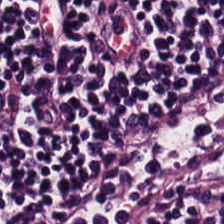H&E. This field is lymphocyte aggregate.
